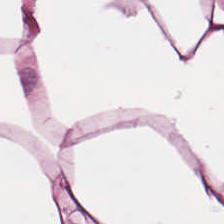H&E. 0.5 µm/px.
Q: What is shown in this field?
A: This is adipose tissue.
